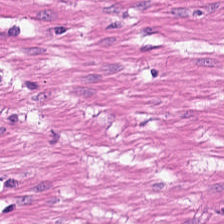H&E-stained tissue section. 0.5 µm per pixel. FFPE tissue section.
Classification: smooth muscle.
